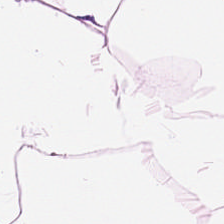Hematoxylin-and-eosin stained section. This patch shows adipose tissue.
